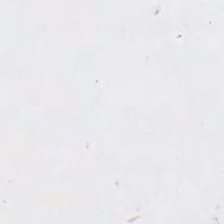No tissue present; background only.
